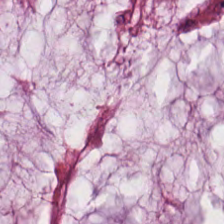H&E-stained tissue section; FFPE — Tissue — mucus.
